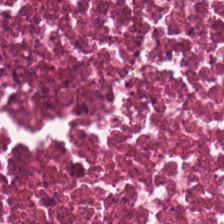The predominant tissue is debris.
